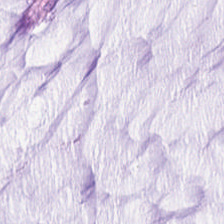Stain: H&E.
Resolution: 20× equivalent magnification.
Tile size: 224×224 px tile.
Tissue: extracellular mucin.
